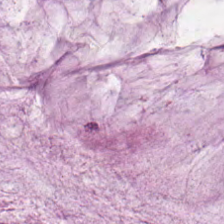H&E-stained tissue section · FFPE tissue section — This field is mucus.
